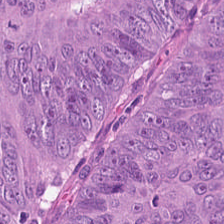H&E — malignant epithelium.
